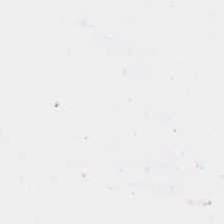Stain: H&E-stained tissue section.
Classification: background.
